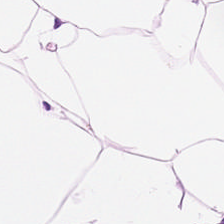224×224 pixel tile · brightfield · H&E stain. This patch shows adipose tissue.
